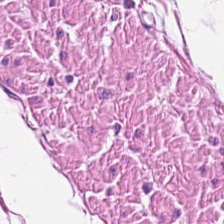H&E-stained tissue section · 0.5 µm/px · 224×224 pixel tile.
Predominantly smooth-muscle tissue.
